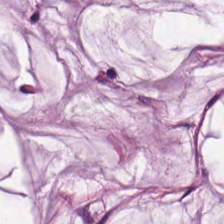Hematoxylin and eosin.
Impression — mucus.
